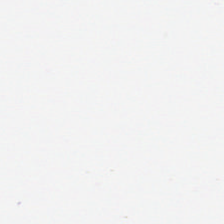Stain: H&E-stained tissue section.
Classification: background (no tissue).
